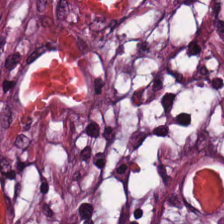H&E-stained tissue section. 224×224 px patch. Brightfield. Q: What is shown in this field?
A: This is desmoplastic stroma.
